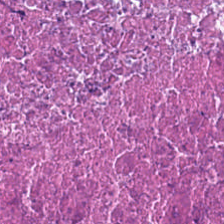H&E stain. Classification: necrotic debris.
